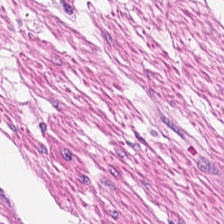H&E — muscularis.
